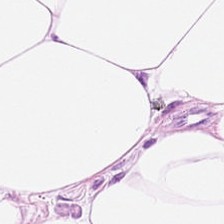Formalin-fixed paraffin-embedded section; H&E-stained tissue section. This field is fat tissue.
